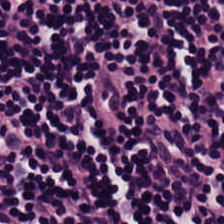The tissue here is lymphocytic infiltrate.
